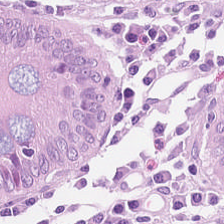H&E — This field is benign colonic mucosa.
